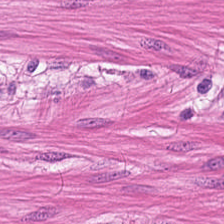H&E.
Tissue = smooth-muscle tissue.
